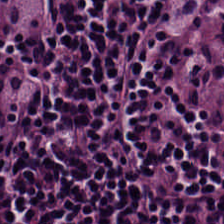Histology → lymphocyte aggregate.
